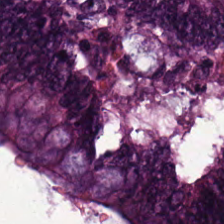FFPE · H&E stain. Predominantly colorectal adenocarcinoma epithelium.
